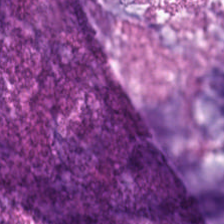Hematoxylin-and-eosin stained section — Impression — mucin.
